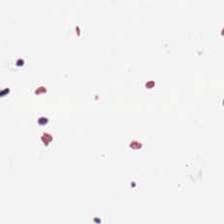H&E. Q: What is shown in this field?
A: The field shows empty background.
